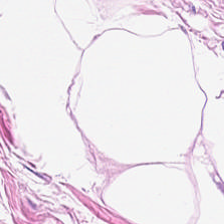Stain: hematoxylin-and-eosin stained section.
Tissue type: adipose.
